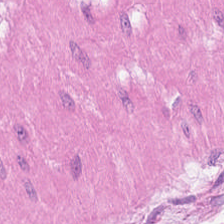Stain: hematoxylin and eosin.
Tile size: 224×224 pixel tile.
Preparation: FFPE.
Tissue: muscularis.
